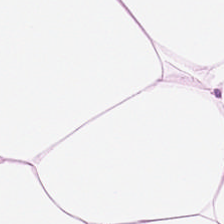Q: What is shown here?
A: This is fat tissue.
